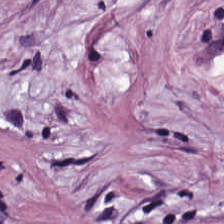Q: What is shown in this field?
A: Desmoplastic stroma.
